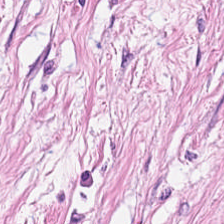Classification = tumor stroma.
